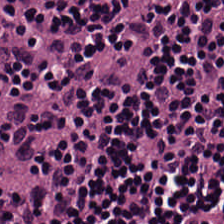Q: What tissue type is shown here?
A: Lymphoid infiltrate.
